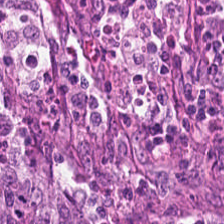Hematoxylin-and-eosin stained section · 0.5 µm/px.
This patch shows colorectal adenocarcinoma epithelium.
